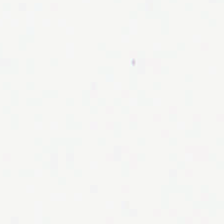Formalin-fixed paraffin-embedded section · H&E stain · 0.5 µm per pixel — Content = background.
